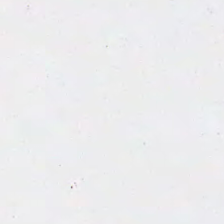This patch shows background.
